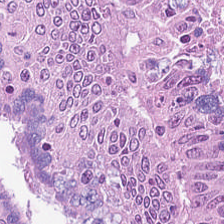H&E-stained tissue section · 224×224 px tile. Tissue class = colorectal adenocarcinoma.
